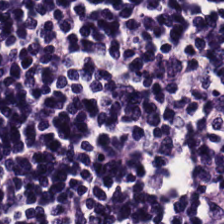0.5 µm per pixel. H&E stain — Tissue class — lymphoid infiltrate.
